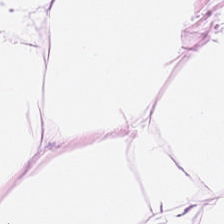Brightfield microscopy. 224×224 pixel tile. H&E-stained tissue section — Predominant tissue: adipose tissue.
